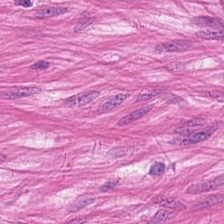Stain: H&E-stained tissue section.
Preparation: formalin-fixed paraffin-embedded section.
Predominant tissue: muscularis.
